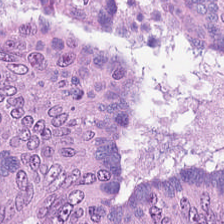Hematoxylin-and-eosin stained section; brightfield microscopy — Q: What tissue is shown?
A: The field shows tumor epithelium.
